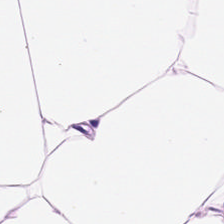Tissue class — adipose.
